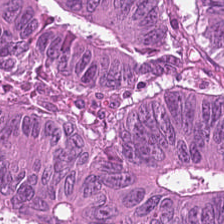Hematoxylin and eosin — {"tissue_type": "colorectal adenocarcinoma"}
